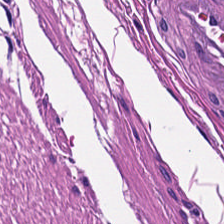Muscularis.
